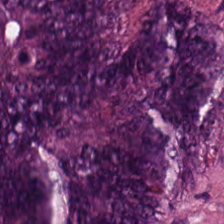Tissue = colorectal adenocarcinoma epithelium.
